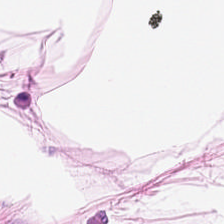Stain: H&E.
Tissue class: adipocytes.
